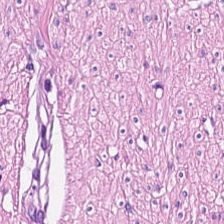Q: What does this patch show?
A: This is muscularis.
